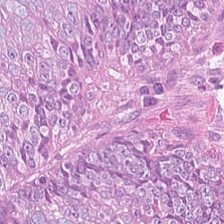Hematoxylin-and-eosin stained section; 224×224 pixel tile. {"tissue_type": "tumor epithelium"}
